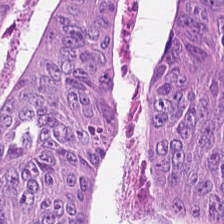H&E — Q: What tissue is shown?
A: The field shows malignant epithelium.
